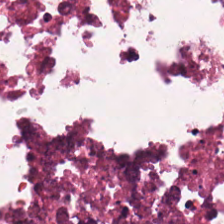H&E-stained tissue section. This field is necrotic debris.
